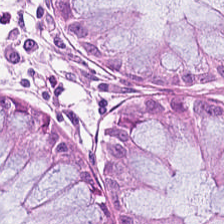Stain: H&E-stained tissue section.
Preparation: FFPE.
Tissue type: benign colonic mucosa.
